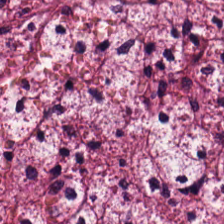0.5 microns per pixel · hematoxylin-and-eosin stained section. Q: What tissue is shown?
A: This is cancer-associated stroma.
